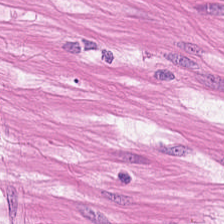Whole-slide-image patch. H&E-stained tissue section. 224×224 pixel tile — Showing muscularis.
